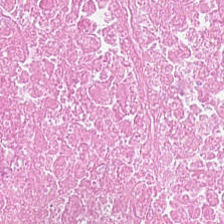20× equivalent magnification; H&E-stained tissue section; whole-slide-image patch.
Debris.
